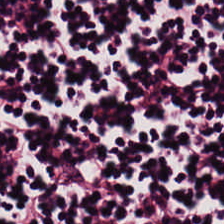H&E-stained tissue section.
Histology → lymphocyte aggregate.
